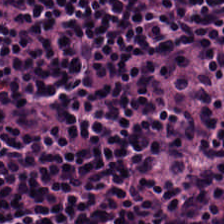20× equivalent magnification; brightfield; H&E stain. Tissue: lymphocyte aggregate.
